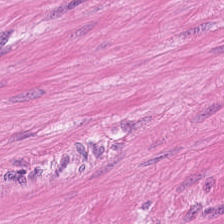H&E stain. This field is muscularis.
